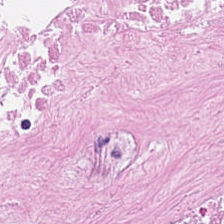H&E-stained tissue section — Classification — necrotic debris.
